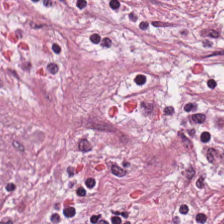H&E stain — This field is cancer-associated stroma.
